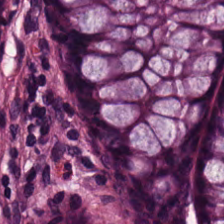H&E stain.
Non-neoplastic colon mucosa.
